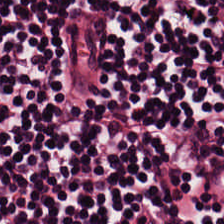H&E stain. Lymphoid infiltrate.
